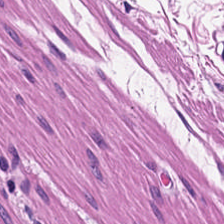224×224 px patch · hematoxylin and eosin.
Finding → smooth muscle.
